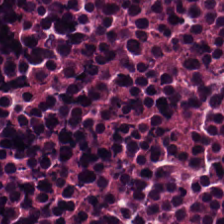Formalin-fixed paraffin-embedded section · 0.5 µm/px · hematoxylin-and-eosin stained section — The predominant tissue is necrotic debris.
